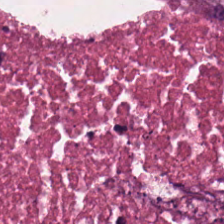H&E stain. Predominantly cellular debris.
